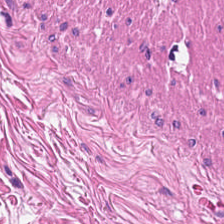H&E; 0.5 µm per pixel. This field is muscularis.
